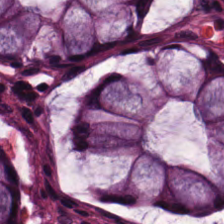H&E stain; 0.5 microns per pixel — Finding — normal colon mucosa.
